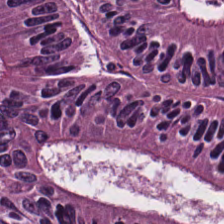Hematoxylin-and-eosin stained section. Q: Classify this patch.
A: The field shows malignant epithelium.
